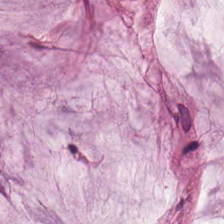Impression — extracellular mucin.
